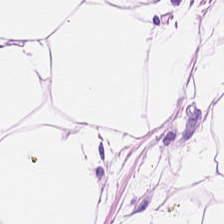0.5 µm per pixel · H&E stain — Q: Classify this patch.
A: This is adipose.
